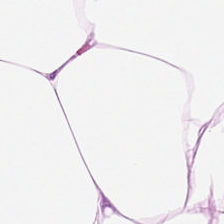H&E stain. Predominant tissue: adipocytes.
